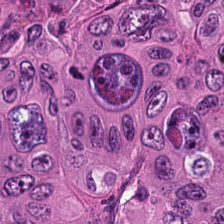H&E.
Predominant tissue = malignant epithelium.
